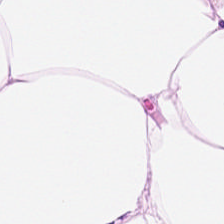224×224 px tile · H&E-stained tissue section. Adipose tissue.
